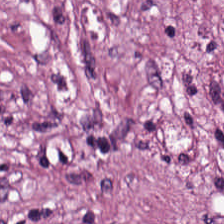Hematoxylin and eosin.
Tissue class — desmoplastic stroma.
